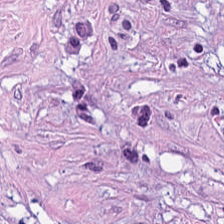Cancer-associated stroma.
